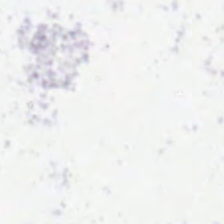Stain: H&E-stained tissue section.
Content: no tissue.
